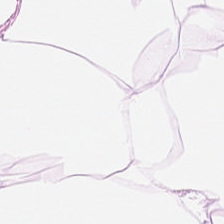H&E stain.
Q: What tissue is shown?
A: The field shows adipocytes.
